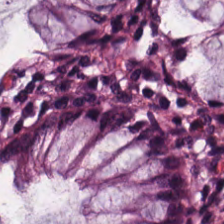Histology → normal colon mucosa.
